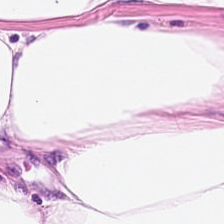H&E; 0.5 µm per pixel — Fat tissue.
